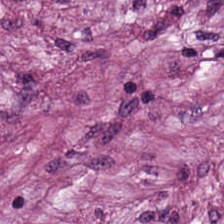Q: What is the predominant tissue type?
A: It is desmoplastic stroma.
